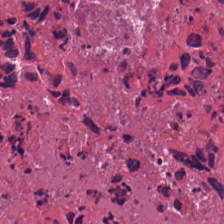Impression → necrotic debris.
